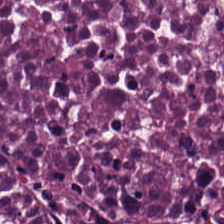Hematoxylin and eosin; brightfield.
This field is cellular debris.
